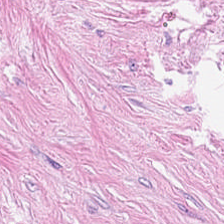224×224 px patch. Hematoxylin-and-eosin stained section.
{"tissue_type": "tumor-associated stroma"}
